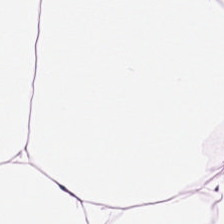Hematoxylin and eosin · 0.5 microns per pixel · 224×224 px patch. Tissue class = adipose.
